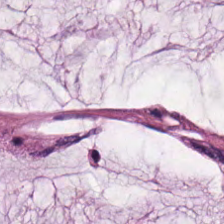Formalin-fixed paraffin-embedded section · H&E stain · 224×224 px tile. Tissue class — mucus.
